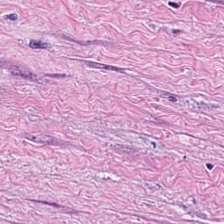Desmoplastic stroma.
